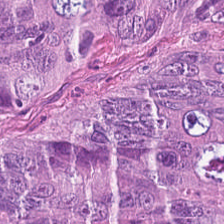H&E.
{"tissue_type": "colorectal adenocarcinoma"}
